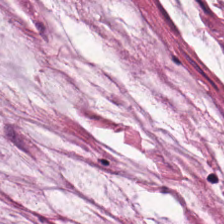Hematoxylin-and-eosin stained section.
Mucin.
